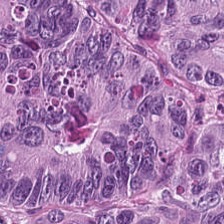H&E-stained tissue section; 224×224 px tile.
Q: Identify the tissue.
A: It is colorectal adenocarcinoma.
